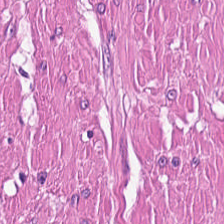Hematoxylin and eosin.
Tissue class: smooth muscle.
